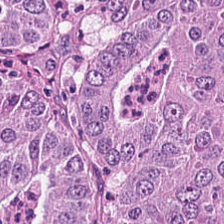H&E; 0.5 µm/px; formalin-fixed paraffin-embedded section.
Impression → adenocarcinoma.
